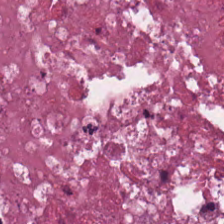224×224 pixel tile; H&E stain.
The tissue here is cellular debris.
